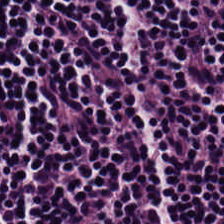0.5 microns per pixel. H&E-stained tissue section — Classification: lymphocytes.
